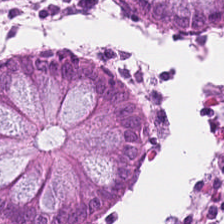Tissue type: benign colonic mucosa.
